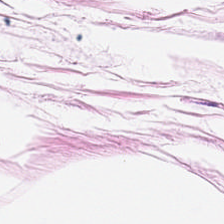Q: What is the predominant tissue type?
A: This is adipose.
